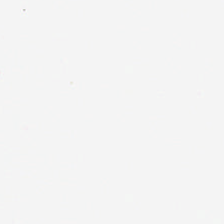Hematoxylin-and-eosin stained section.
This patch shows empty background.
